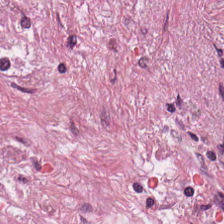FFPE; hematoxylin and eosin. Finding → desmoplastic stroma.
